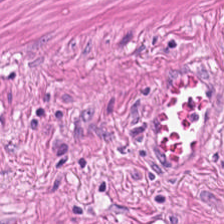Classification = smooth muscle.
